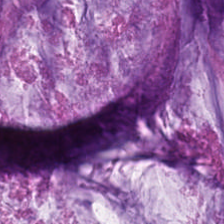H&E; brightfield.
Tissue type = mucin.
